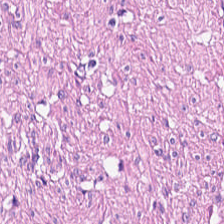0.5 microns per pixel · hematoxylin-and-eosin stained section · 224×224 pixel tile.
This patch shows muscularis.
